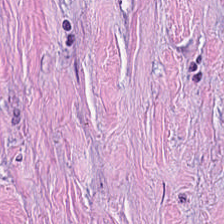Whole-slide-image patch; hematoxylin and eosin; 224×224 pixel tile. Finding — desmoplastic stroma.
